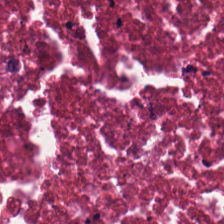224×224 pixel tile. H&E stain. FFPE tissue section.
The tissue here is cellular debris.
